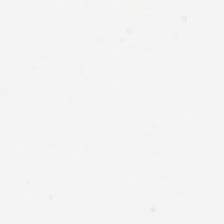224×224 px patch · H&E. This field is background (no tissue).
